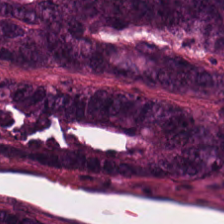Tissue: adenocarcinoma.
